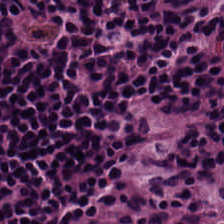Predominantly lymphocyte aggregate.
